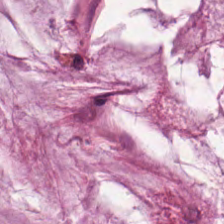H&E patch showing mucus.
